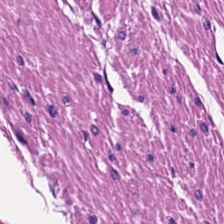Hematoxylin and eosin.
Muscularis.
